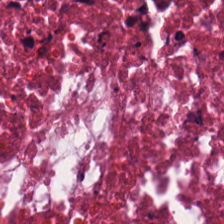Hematoxylin and eosin — Tissue type = debris.
